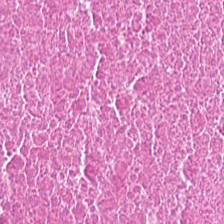Hematoxylin-and-eosin stained section. The predominant tissue is cellular debris.
